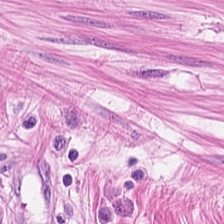Stain: H&E-stained tissue section.
Classification: smooth-muscle tissue.
